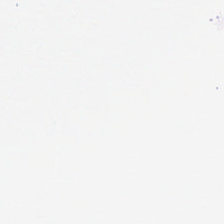{"content": "empty background"}
